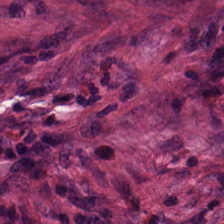Stain: hematoxylin-and-eosin stained section.
Tissue: tumor stroma.
